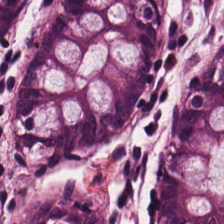Hematoxylin and eosin.
Showing normal colonic mucosa.
